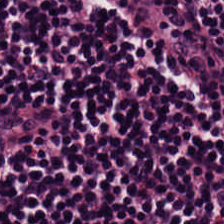Stain: hematoxylin and eosin.
Predominant tissue: lymphocytes.
